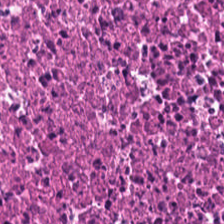This patch shows debris.
